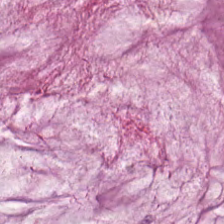Hematoxylin-and-eosin stained section.
This field is mucus.
